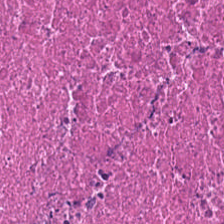Stain: H&E stain.
Classification: cellular debris.
